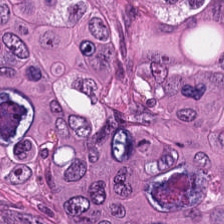Stain: hematoxylin-and-eosin stained section.
Tissue type: colorectal adenocarcinoma epithelium.
